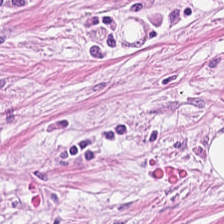H&E-stained tissue section.
Histology — tumor-associated stroma.
